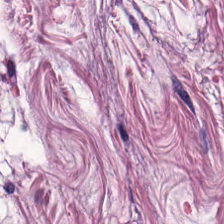224×224 pixel tile; H&E-stained tissue section — Q: What tissue type is shown here?
A: The field shows smooth-muscle tissue.
